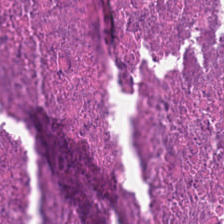Hematoxylin and eosin · 0.5 µm per pixel — Cellular debris.
